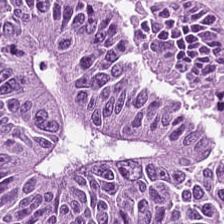Tissue class: malignant epithelium.
